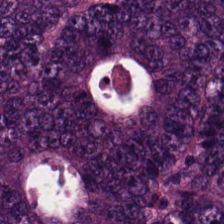0.5 µm/px; H&E.
Tissue type = tumor epithelium.
